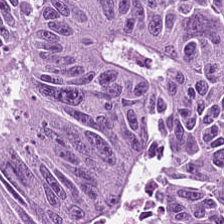224×224 px tile · hematoxylin-and-eosin stained section — The predominant tissue is tumor epithelium.
